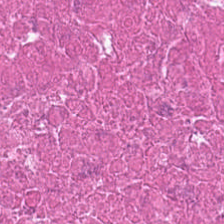The predominant tissue is necrotic debris.
